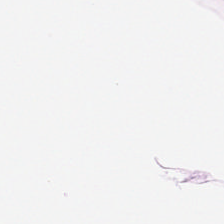H&E stain.
Tissue = adipose tissue.
